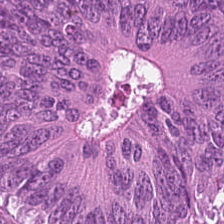224×224 px tile · H&E · FFPE. The tissue type is colorectal adenocarcinoma.
